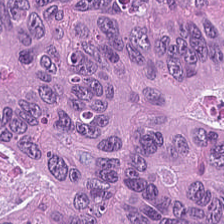H&E. Classification = colorectal adenocarcinoma epithelium.
